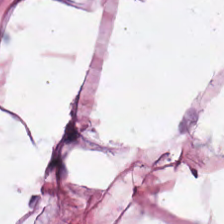H&E-stained tissue section.
The tissue class is adipose tissue.
